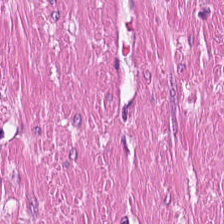Hematoxylin and eosin.
Finding → smooth-muscle tissue.
